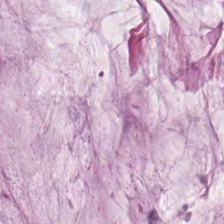Brightfield microscopy. H&E-stained tissue section — Finding — mucus.
